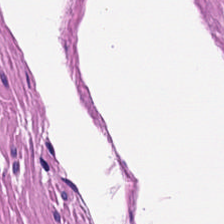Hematoxylin and eosin. 224×224 pixel tile — Q: What does this patch show?
A: This is muscularis.
